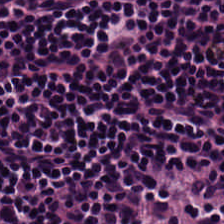Stain: H&E-stained tissue section.
Acquisition: WSI patch.
Preparation: FFPE tissue section.
Classification: lymphocyte aggregate.
